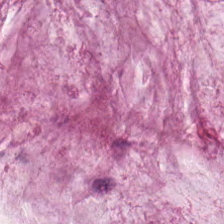The predominant tissue is mucin.
